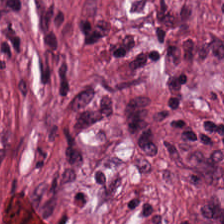Hematoxylin-and-eosin stained section — Tissue type = tumor-associated stroma.
